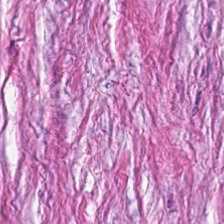The predominant tissue is cancer-associated stroma.
